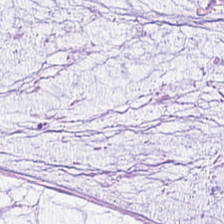FFPE. Hematoxylin-and-eosin stained section. Whole-slide-image patch. This patch shows extracellular mucin.
